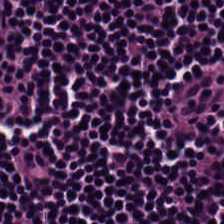FFPE; H&E stain.
Histology → lymphocytic infiltrate.
